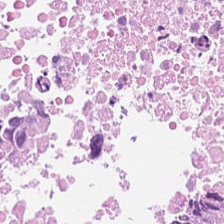H&E-stained tissue section. Tissue — cellular debris.
